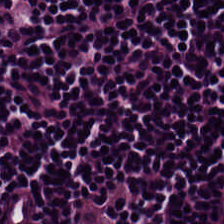H&E stain.
Impression → lymphocytes.
